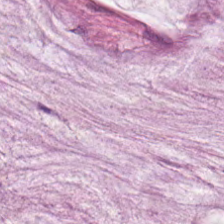Tissue type = mucus.
